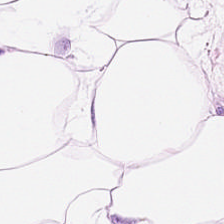This field is adipocytes.
